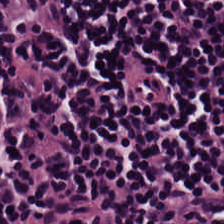Hematoxylin-and-eosin stained section — Q: What tissue is shown?
A: Lymphocytic infiltrate.
